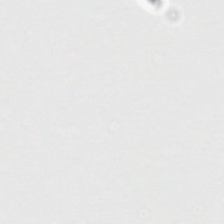Content = background (no tissue).
